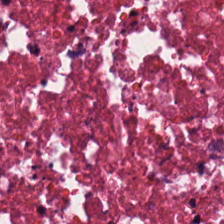This field is cellular debris.
